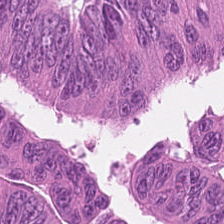Hematoxylin and eosin — Predominantly colorectal adenocarcinoma epithelium.
